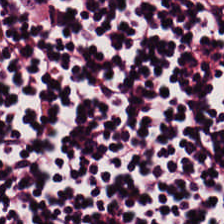Stain: hematoxylin-and-eosin stained section.
Resolution: 20× equivalent magnification.
Predominant tissue: lymphoid infiltrate.
